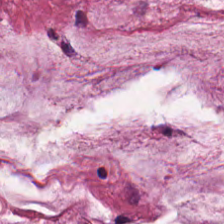Stain: H&E-stained tissue section.
Tile size: 224×224 px tile.
Tissue: mucin.
